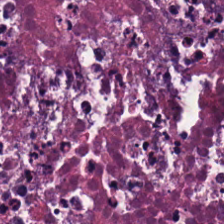Stain: hematoxylin and eosin.
Tissue class: necrotic debris.
